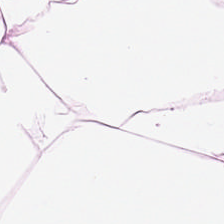H&E-stained tissue section showing adipose.
